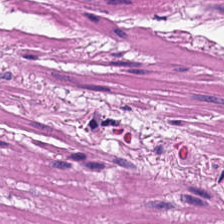{"tissue_type": "smooth-muscle tissue"}
